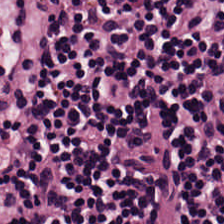Q: Classify this patch.
A: Lymphocyte aggregate.
